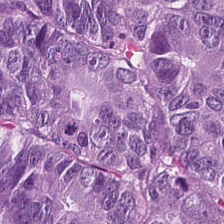Impression — adenocarcinoma.
